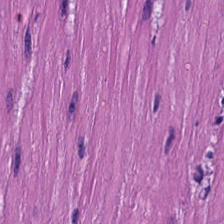Histology — smooth muscle.
